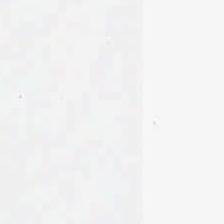H&E stain — Empty field — no tissue.
